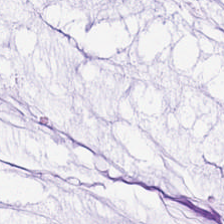H&E stain. 224×224 pixel tile — This field is mucus.
